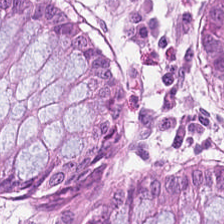0.5 µm per pixel; WSI patch; hematoxylin and eosin. The predominant tissue is normal colon mucosa.
